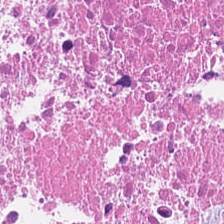Hematoxylin and eosin — The predominant tissue is necrotic debris.
